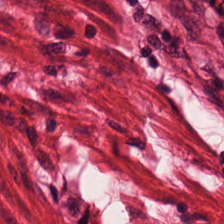H&E stain. 0.5 microns per pixel. Impression → smooth-muscle tissue.
